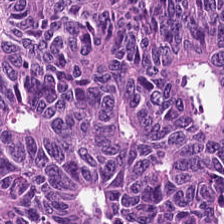H&E. Whole-slide-image patch. 224×224 pixel tile.
Tissue type = colorectal adenocarcinoma epithelium.
